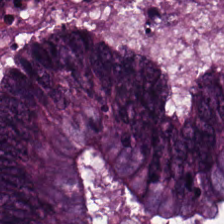Histology → colorectal adenocarcinoma epithelium.
